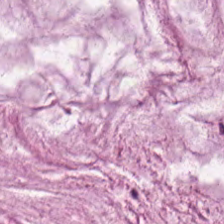Stain: H&E stain.
Predominant tissue: extracellular mucin.
